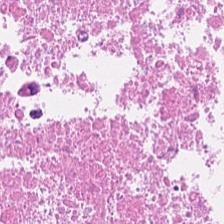Brightfield; hematoxylin and eosin; 224×224 px patch.
Q: What is the predominant tissue type?
A: This is cellular debris.
